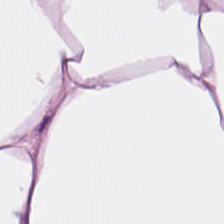H&E.
Showing adipose tissue.
